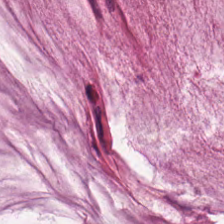FFPE. Hematoxylin-and-eosin stained section.
The tissue type is mucin.
